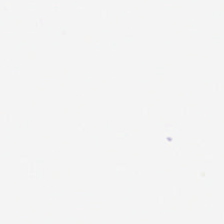H&E-stained tissue section.
Background.
